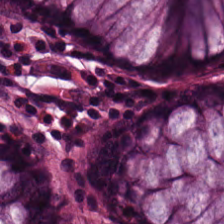H&E — Tissue type — non-neoplastic colon mucosa.
